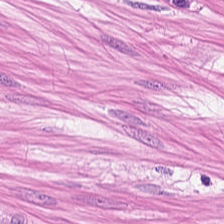H&E. Formalin-fixed paraffin-embedded section — The tissue type is muscularis.
